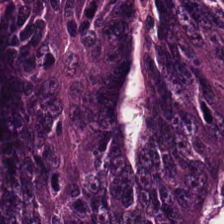Impression → malignant epithelium.
